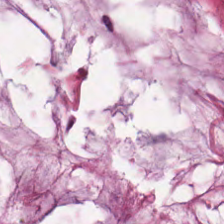20× equivalent magnification; H&E stain; brightfield microscopy — Tissue: mucin.
